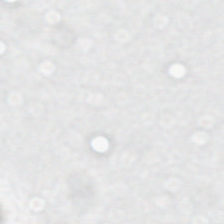Stain: H&E.
Acquisition: whole-slide-image patch.
Field content: background (no tissue).
